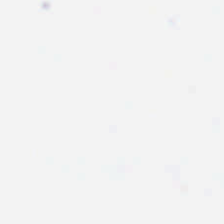H&E stain · FFPE tissue section. No tissue present; background only.
